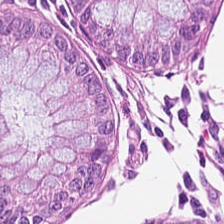Q: What does this patch show?
A: The field shows benign colonic mucosa.
